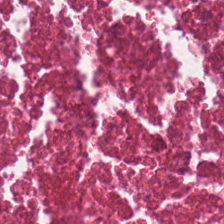Q: What tissue type is shown here?
A: It is necrotic debris.
